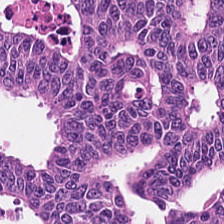Hematoxylin-and-eosin stained section.
The tissue type is adenocarcinoma.
